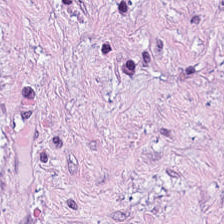Hematoxylin and eosin. {"tissue_type": "tumor stroma"}
